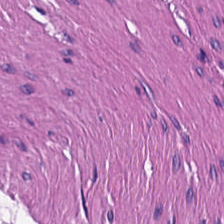H&E stain.
The predominant tissue is smooth-muscle tissue.
